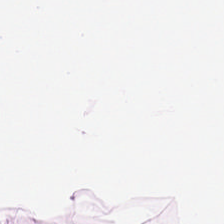Stain: H&E stain.
Tile size: 224×224 px patch.
Resolution: 0.5 µm per pixel.
Tissue type: adipose tissue.
